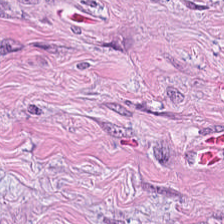Stain: H&E.
Tissue class: tumor-associated stroma.
